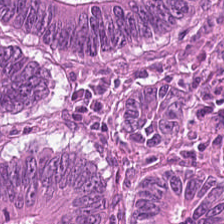224×224 px tile. Hematoxylin and eosin. FFPE tissue section — Tissue: adenocarcinoma.
